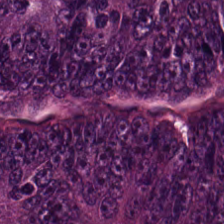Hematoxylin-and-eosin stained section — The tissue here is colorectal adenocarcinoma.
